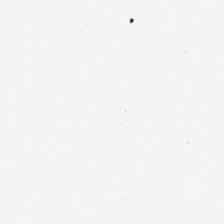H&E · 0.5 µm/px. Background.
